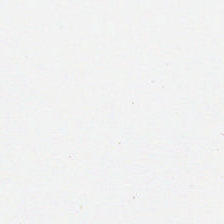H&E-stained tissue section. Whole-slide-image patch. Histology — empty background.
